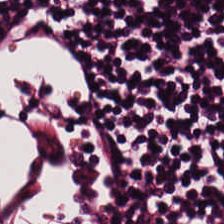The tissue class is lymphocyte aggregate.
